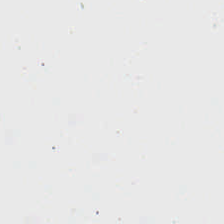H&E-stained tissue section. Q: What does this patch show?
A: The field shows background (no tissue).
